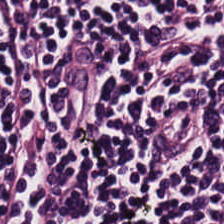H&E stain; FFPE.
Q: What is shown in this field?
A: This is lymphocytic infiltrate.
